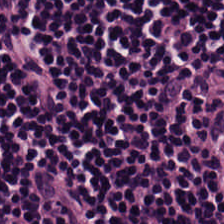Q: What does this patch show?
A: Lymphocytes.
